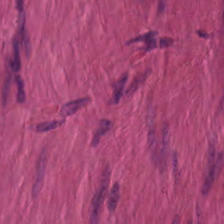H&E stain. FFPE tissue section. 0.5 µm/px.
Smooth-muscle tissue.
